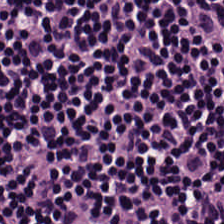Whole-slide-image patch. H&E. FFPE — Impression → lymphocytic infiltrate.
